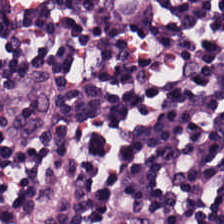0.5 microns per pixel. H&E stain. Brightfield microscopy. Lymphocytes.
